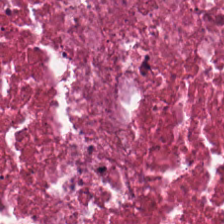Classification — debris.
